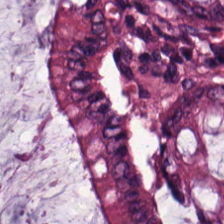The predominant tissue is non-neoplastic colon mucosa.
